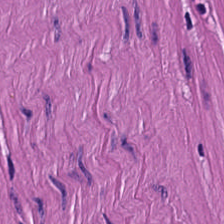H&E stain — Q: Identify the tissue.
A: The field shows smooth-muscle tissue.
